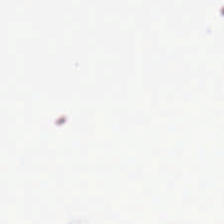Hematoxylin-and-eosin stained section.
Field content: background.
